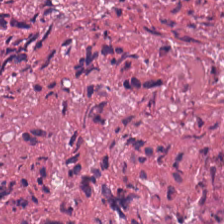Predominantly cellular debris.
